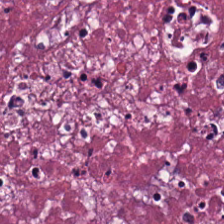H&E-stained tissue section.
The classification is necrotic debris.
